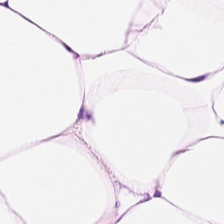Hematoxylin and eosin — {"tissue_type": "fat tissue"}
